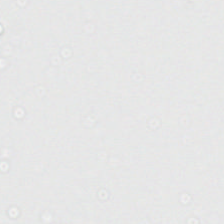FFPE; WSI patch; H&E. Empty field — empty background.
